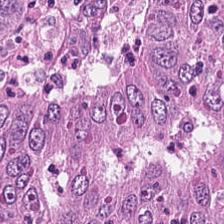H&E-stained tissue section; formalin-fixed paraffin-embedded section. Predominant tissue = colorectal adenocarcinoma epithelium.
